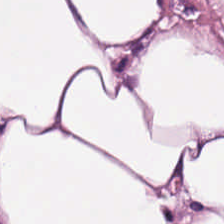0.5 microns per pixel. Hematoxylin-and-eosin stained section. Formalin-fixed paraffin-embedded section.
{"tissue_type": "adipose tissue"}
